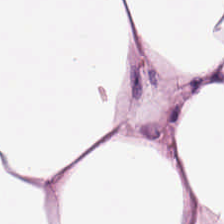Hematoxylin-and-eosin stained section. Q: Classify this patch.
A: This is adipocytes.
